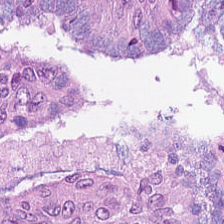Hematoxylin and eosin.
Adenocarcinoma.
